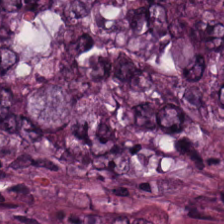Brightfield; H&E-stained tissue section — Tumor epithelium.
